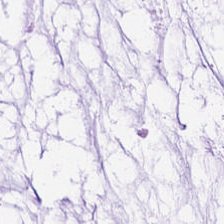H&E-stained tissue section. Classification = extracellular mucin.
